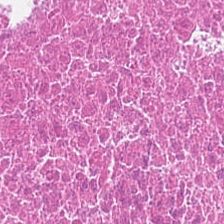H&E; WSI patch — The predominant tissue is necrotic debris.
